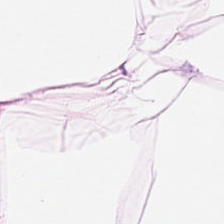Hematoxylin-and-eosin stained section. Showing adipocytes.
